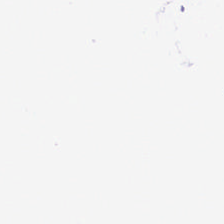Hematoxylin-and-eosin stained section.
Q: What is shown here?
A: The field shows empty background.
